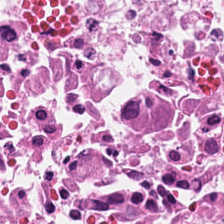Brightfield · 0.5 µm/px · hematoxylin and eosin — Showing debris.
